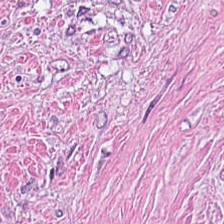Hematoxylin and eosin. FFPE tissue section.
Impression — desmoplastic stroma.
